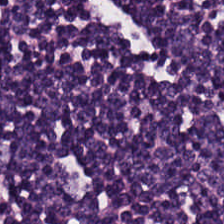Hematoxylin and eosin.
Histology → lymphocyte aggregate.
